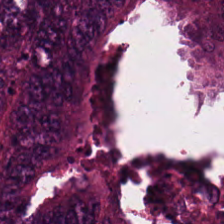H&E-stained tissue section — Impression — tumor epithelium.
